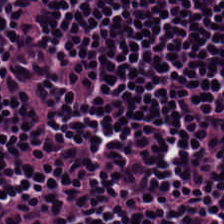H&E-stained tissue section. Predominantly lymphoid infiltrate.
